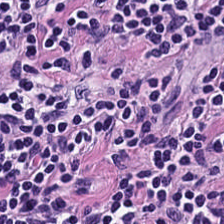Stain: H&E stain.
Classification: lymphocytes.
